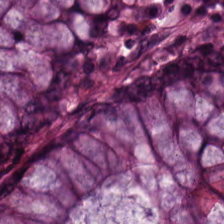Q: What is shown in this field?
A: It is benign colonic mucosa.
